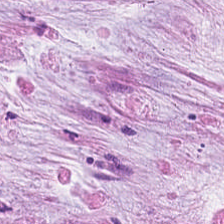Hematoxylin-and-eosin stained section. The predominant tissue is mucus.
